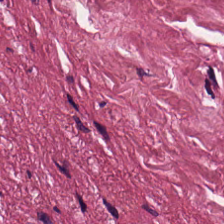H&E.
Q: What is shown here?
A: This is tumor-associated stroma.
